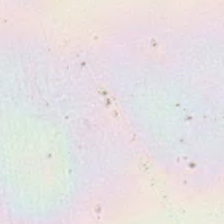Background — no tissue in this field.
